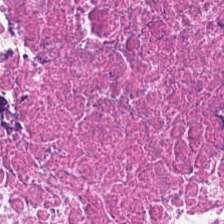Q: What is shown here?
A: Debris.
